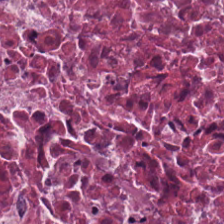H&E stain; 0.5 microns per pixel; whole-slide-image patch.
Q: What tissue is shown?
A: Debris.
